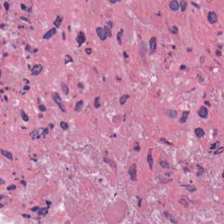The predominant tissue is cellular debris.
